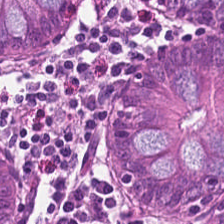H&E stain.
Classification = benign colonic mucosa.
